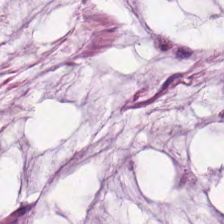H&E-stained tissue section.
The predominant tissue is extracellular mucin.
